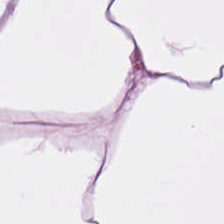The tissue is fat tissue.
